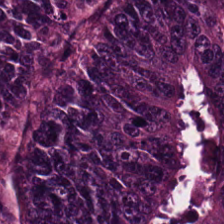H&E stain · whole-slide-image patch.
Q: What type of tissue is this?
A: Colorectal adenocarcinoma.
